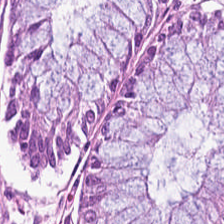Hematoxylin and eosin. 0.5 µm per pixel — Q: Classify this patch.
A: Benign colonic mucosa.
